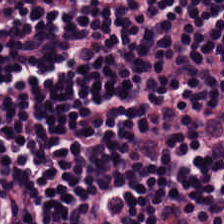Impression → lymphocytic infiltrate.
